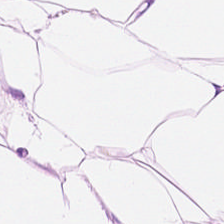H&E. FFPE. 0.5 microns per pixel. Q: What tissue is shown?
A: The field shows adipose.
